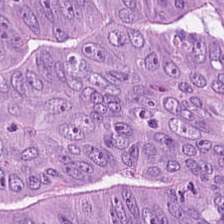This patch shows colorectal adenocarcinoma epithelium.
